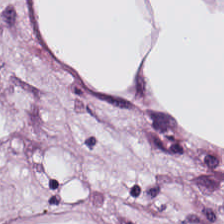FFPE; H&E-stained tissue section — The predominant tissue is adipocytes.
